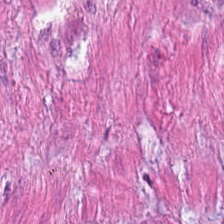Brightfield. H&E-stained tissue section. 0.5 µm per pixel. Q: What tissue type is shown here?
A: Muscularis.
